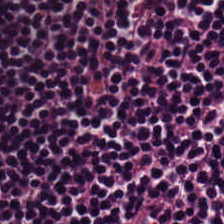H&E.
The predominant tissue is lymphocytes.
